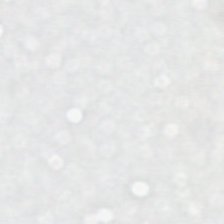H&E-stained tissue section.
Content: no tissue.
